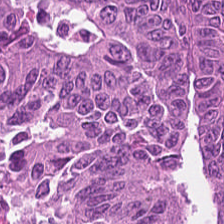Hematoxylin-and-eosin stained section — This patch shows malignant epithelium.
